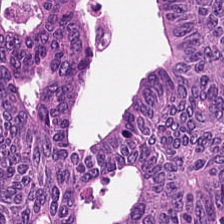H&E stain.
Q: What does this patch show?
A: Colorectal adenocarcinoma.
